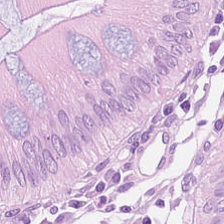Hematoxylin and eosin.
Showing normal colonic mucosa.
